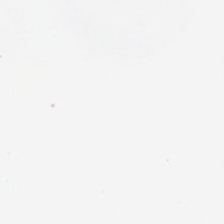224×224 px tile; H&E-stained tissue section; 20× equivalent magnification — Field content: background (no tissue).
